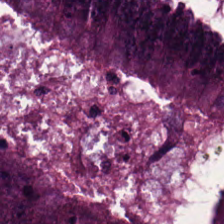H&E-stained tissue section — Q: What is shown in this field?
A: Colorectal adenocarcinoma.
